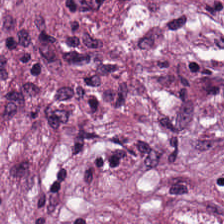H&E stain; 20× equivalent magnification.
This patch shows desmoplastic stroma.
